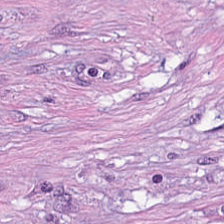Q: What type of tissue is this?
A: The field shows cancer-associated stroma.
